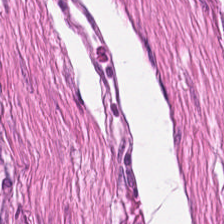H&E — Smooth-muscle tissue.
